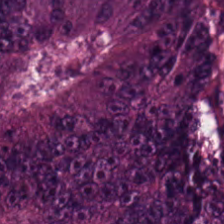20× equivalent magnification; H&E.
Classification = colorectal adenocarcinoma epithelium.
